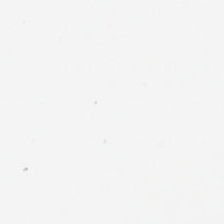H&E. {"content": "no tissue"}
